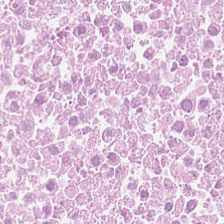H&E.
Impression — debris.
